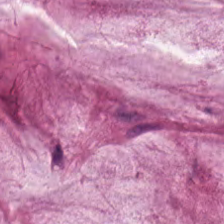H&E.
The predominant tissue is extracellular mucin.
